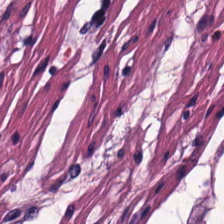Hematoxylin-and-eosin stained section · FFPE tissue section. Smooth-muscle tissue.
